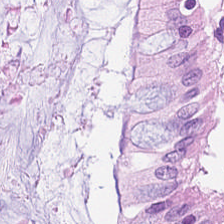Hematoxylin and eosin. {"tissue_type": "benign colonic mucosa"}
